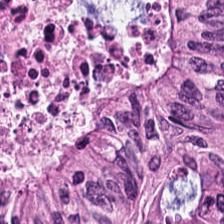{"tissue_type": "colorectal adenocarcinoma epithelium"}
